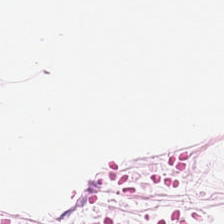Hematoxylin and eosin.
This patch shows fat tissue.
